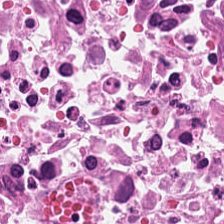This patch shows debris.
